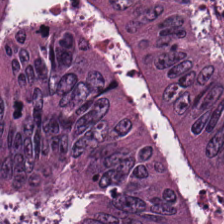Stain: hematoxylin-and-eosin stained section.
Acquisition: whole-slide-image patch.
Predominant tissue: colorectal adenocarcinoma epithelium.
